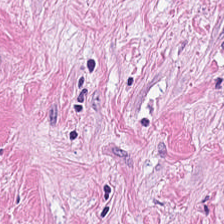H&E stain. Histology — tumor stroma.
